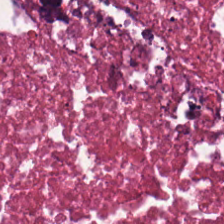224×224 px tile. H&E stain.
This patch shows debris.
